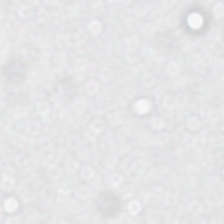Stain: H&E-stained tissue section.
Acquisition: brightfield microscopy.
Classification: background.
